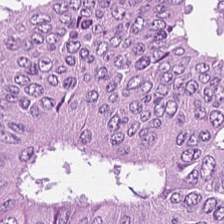Stain: H&E-stained tissue section.
Acquisition: brightfield microscopy.
Predominant tissue: adenocarcinoma.
